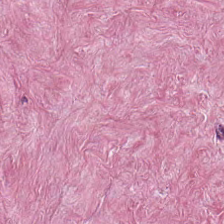Hematoxylin and eosin. The predominant tissue is cancer-associated stroma.
